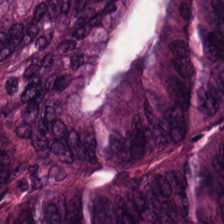Hematoxylin and eosin.
Showing adenocarcinoma.
